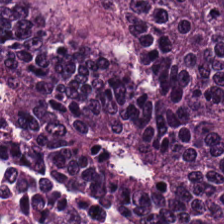0.5 µm per pixel; H&E stain — {"tissue_type": "adenocarcinoma"}
